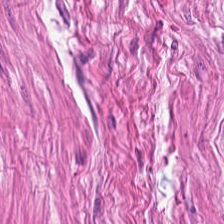The tissue here is muscularis.
